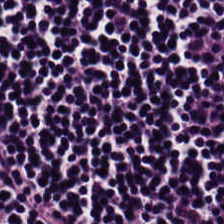Formalin-fixed paraffin-embedded section; 0.5 microns per pixel; H&E-stained tissue section — The predominant tissue is lymphoid infiltrate.
